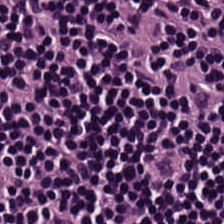H&E stain. FFPE tissue section — {"tissue_type": "lymphocytic infiltrate"}
